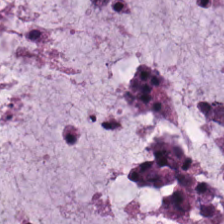Hematoxylin-and-eosin stained section. Brightfield.
Showing mucus.
